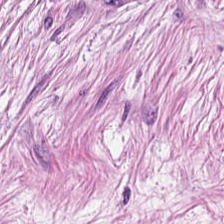Q: Identify the tissue.
A: This is desmoplastic stroma.
